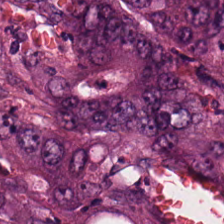H&E-stained section; the field shows tumor epithelium.
